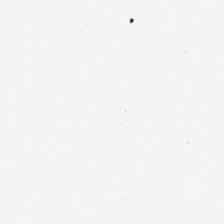Histology — background.
